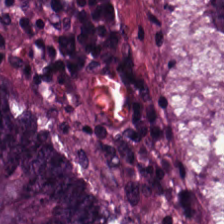224×224 px patch; formalin-fixed paraffin-embedded section; H&E-stained tissue section — Predominant tissue — colorectal adenocarcinoma.
